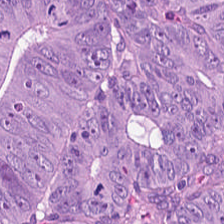H&E stain — Tissue class = colorectal adenocarcinoma epithelium.
